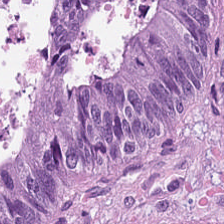Q: What type of tissue is this?
A: This is malignant epithelium.
